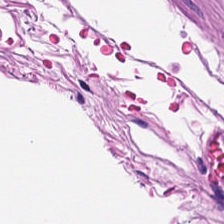Stain: hematoxylin-and-eosin stained section.
Tissue type: smooth muscle.
